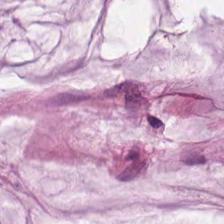Stain: hematoxylin and eosin.
Tissue class: extracellular mucin.
